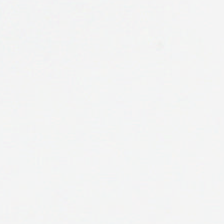{"content": "no tissue"}
